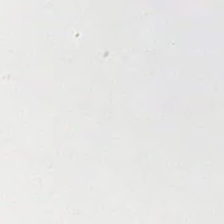WSI patch. H&E.
Classification: background (no tissue).
